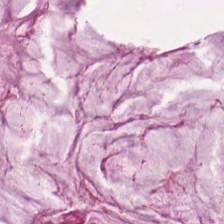H&E stain.
Q: What is shown here?
A: The field shows mucin.
